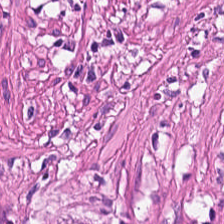Tissue class: muscularis.
